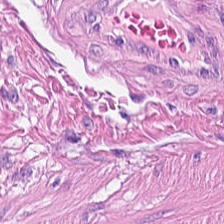0.5 µm/px. H&E. Whole-slide-image patch. Predominant tissue: smooth muscle.
